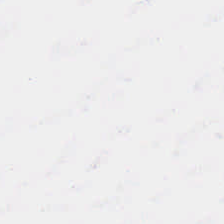Empty field — background.
